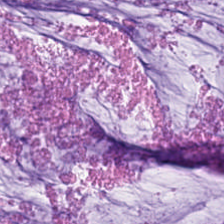H&E stain.
Q: What is shown in this field?
A: It is mucin.
